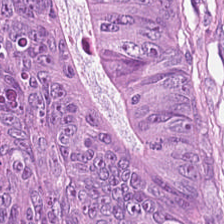Finding — malignant epithelium.
